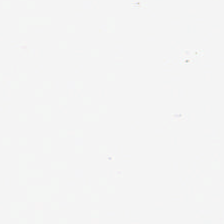H&E-stained tissue section. Classification: background (no tissue).
